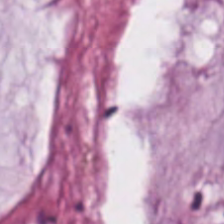Hematoxylin and eosin · 224×224 px patch · 0.5 microns per pixel.
Q: What tissue is shown?
A: It is mucus.
